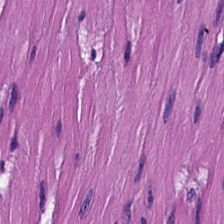Hematoxylin and eosin · 0.5 microns per pixel. Q: What type of tissue is this?
A: The field shows smooth-muscle tissue.
